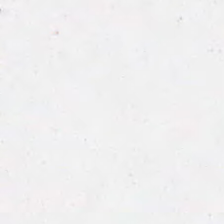H&E stain. 0.5 µm/px. Formalin-fixed paraffin-embedded section — Q: What does this patch show?
A: The field shows empty background.
